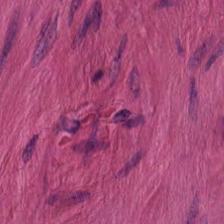Whole-slide-image patch. H&E.
Predominantly muscularis.
